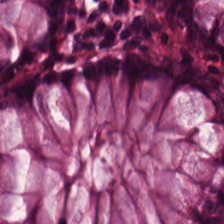H&E-stained tissue section. Tissue type — normal colon mucosa.
